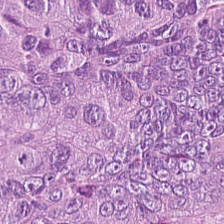Brightfield microscopy. 224×224 px tile. H&E stain. Histology → adenocarcinoma.
